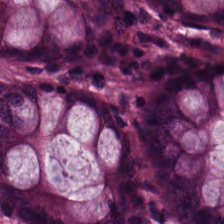The predominant tissue is non-neoplastic colon mucosa.
